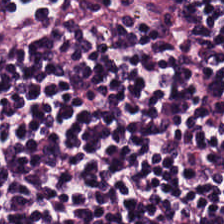H&E — Lymphocyte aggregate.
